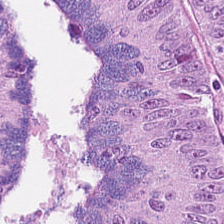H&E stain. Histology — malignant epithelium.
